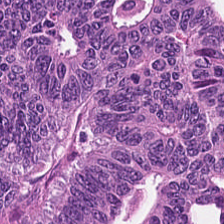Q: Identify the tissue.
A: This is adenocarcinoma.
